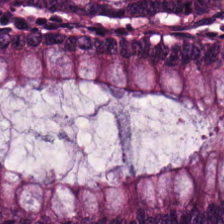Q: What tissue type is shown here?
A: Non-neoplastic colon mucosa.
